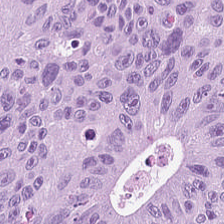FFPE. 224×224 pixel tile. H&E stain. Q: What does this patch show?
A: This is colorectal adenocarcinoma epithelium.
